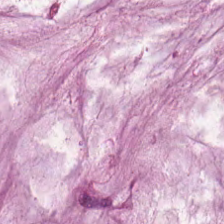224×224 pixel tile; brightfield; H&E — Q: What tissue is shown?
A: This is mucus.
